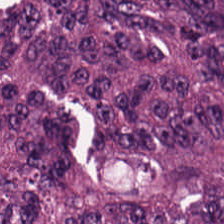Hematoxylin-and-eosin stained section. {"tissue_type": "colorectal adenocarcinoma epithelium"}
